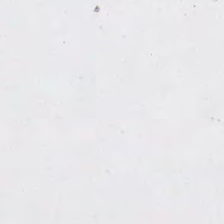H&E-stained tissue section.
Content: background.
